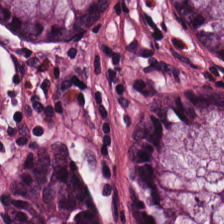Predominant tissue — normal colon mucosa.
